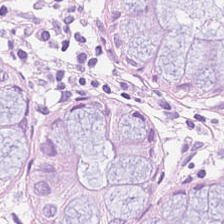Hematoxylin and eosin — Normal colon mucosa.
